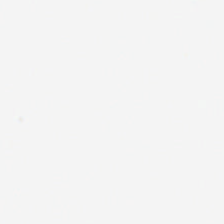H&E-stained tissue section. Empty field — background.
